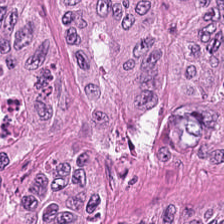Hematoxylin-and-eosin stained section.
This field is malignant epithelium.
